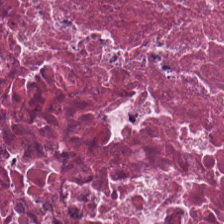224×224 px tile · formalin-fixed paraffin-embedded section · H&E-stained tissue section. {"tissue_type": "necrotic debris"}
